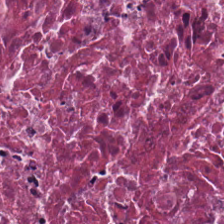H&E-stained tissue section.
Q: What does this patch show?
A: Necrotic debris.
